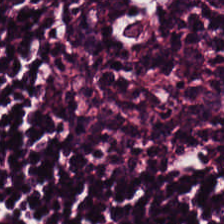{"tissue_type": "lymphoid infiltrate"}
